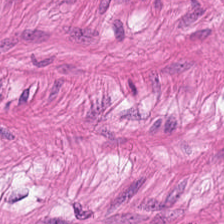H&E.
This field is smooth muscle.
